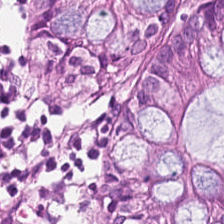Hematoxylin and eosin.
Non-neoplastic colon mucosa.
